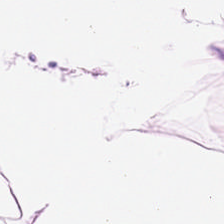Formalin-fixed paraffin-embedded section; H&E stain — Q: What is shown in this field?
A: This is fat tissue.
